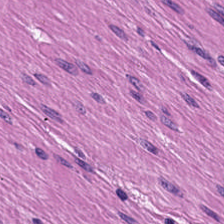Brightfield. FFPE tissue section. H&E stain. Showing smooth-muscle tissue.
